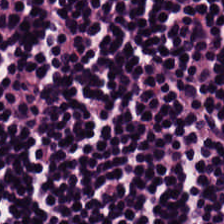Hematoxylin-and-eosin stained section.
Tissue type = lymphocyte aggregate.
